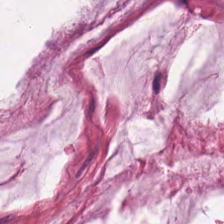FFPE · hematoxylin-and-eosin stained section. The tissue here is mucus.
